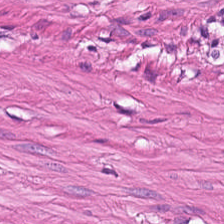Hematoxylin-and-eosin stained section — This field is smooth muscle.
